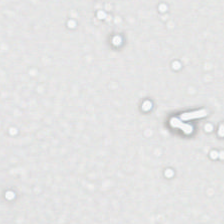Hematoxylin and eosin — Field content — no tissue.
